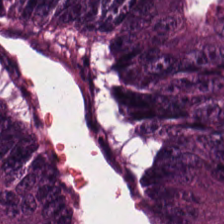WSI patch; hematoxylin and eosin. {"tissue_type": "malignant epithelium"}
